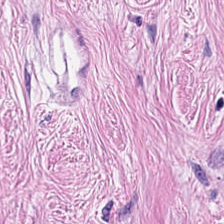20× equivalent magnification · formalin-fixed paraffin-embedded section · H&E — Tissue class — tumor stroma.
